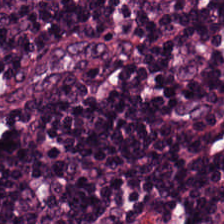The tissue is lymphocyte aggregate.
